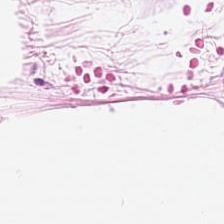The predominant tissue is adipose.
